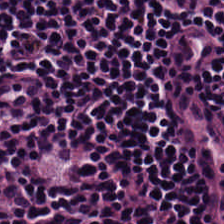Stain: H&E-stained tissue section.
Tissue class: lymphocytes.
